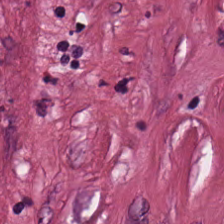Brightfield; H&E-stained tissue section — Q: Classify this patch.
A: Desmoplastic stroma.
